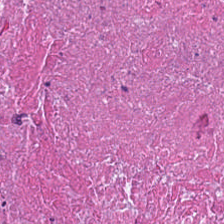Hematoxylin-and-eosin stained section; 0.5 microns per pixel — The tissue here is necrotic debris.
